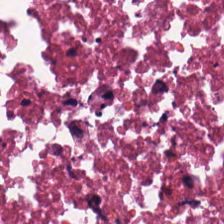Stain: H&E stain.
Preparation: FFPE tissue section.
Resolution: 0.5 µm/px.
Tissue type: necrotic debris.
